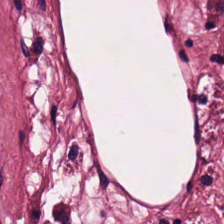H&E stain. FFPE. Brightfield — Q: What is shown here?
A: Tumor stroma.
